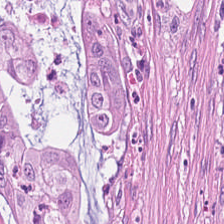The tissue is cancer-associated stroma.
